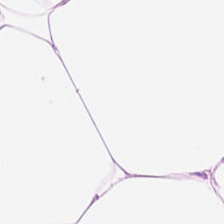20× equivalent magnification · H&E-stained tissue section · formalin-fixed paraffin-embedded section.
Showing adipose.
